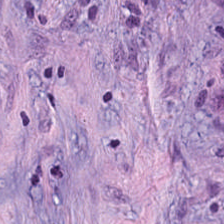Hematoxylin-and-eosin stained section. 224×224 px tile. 20× equivalent magnification. The tissue class is desmoplastic stroma.
